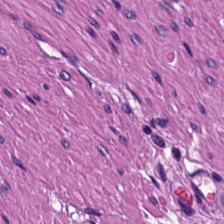Stain: hematoxylin-and-eosin stained section.
Predominant tissue: smooth-muscle tissue.
